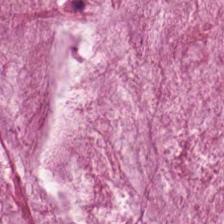H&E · 224×224 pixel tile — Impression — mucin.
